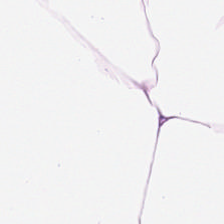Formalin-fixed paraffin-embedded section · WSI patch · H&E-stained tissue section. Q: What does this patch show?
A: It is adipose.
